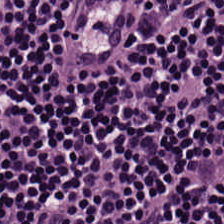H&E-stained tissue section; 224×224 px tile.
This patch shows lymphocytes.
